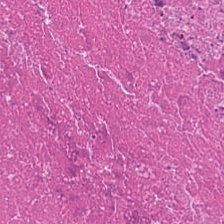Formalin-fixed paraffin-embedded section; H&E-stained tissue section; brightfield microscopy — The predominant tissue is cellular debris.
